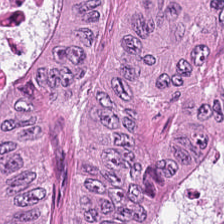H&E-stained tissue section; FFPE tissue section. Tissue — malignant epithelium.
